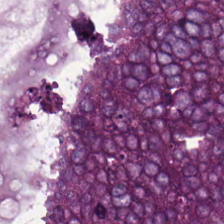H&E stain.
Predominantly colorectal adenocarcinoma epithelium.
